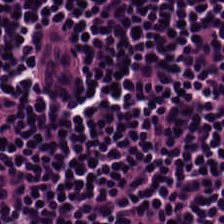Tissue type = lymphocytes.
